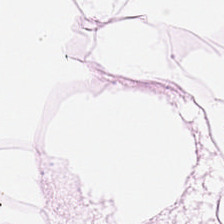{"tissue_type": "fat tissue"}
